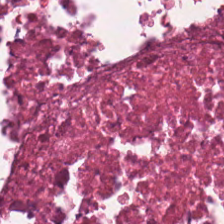Stain: hematoxylin-and-eosin stained section.
Tissue class: cellular debris.
